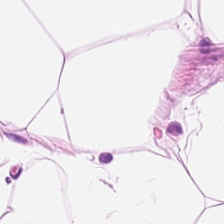The tissue class is adipose.
